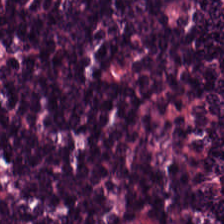H&E stain.
This patch shows lymphoid infiltrate.
